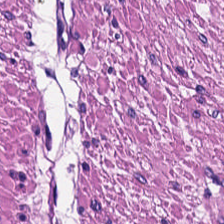Formalin-fixed paraffin-embedded section. H&E-stained tissue section. Smooth-muscle tissue.
